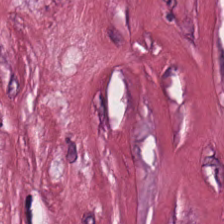Tissue type: tumor-associated stroma.
